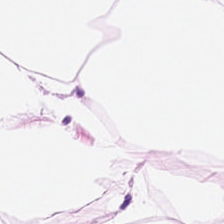H&E; 0.5 µm per pixel.
The predominant tissue is adipose.
